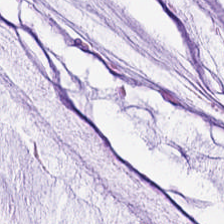H&E-stained tissue section — Predominantly mucus.
